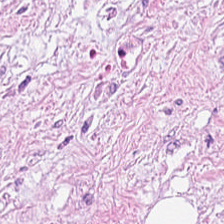The predominant tissue is cancer-associated stroma.
